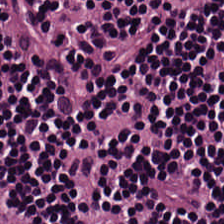Hematoxylin-and-eosin stained section; 224×224 pixel tile — Tissue class: lymphocytic infiltrate.
